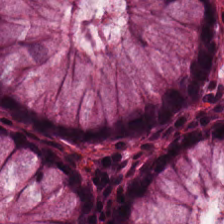Hematoxylin-and-eosin section: normal colonic mucosa.
